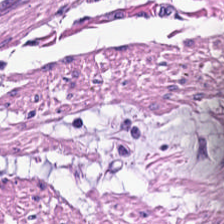Hematoxylin and eosin — Q: What type of tissue is this?
A: This is smooth muscle.
